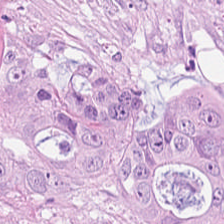H&E-stained tissue section. Q: What type of tissue is this?
A: It is tumor epithelium.
